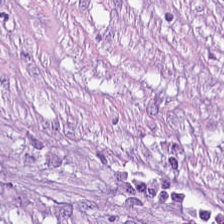Hematoxylin-and-eosin stained section. Tissue type = tumor stroma.
